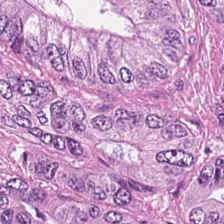Whole-slide-image patch · FFPE tissue section · hematoxylin and eosin.
Q: What tissue type is shown here?
A: It is tumor epithelium.
